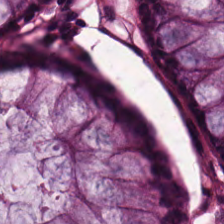{"tissue_type": "benign colonic mucosa"}
